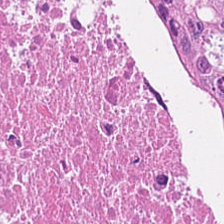Brightfield microscopy · H&E stain.
Tissue class: debris.
